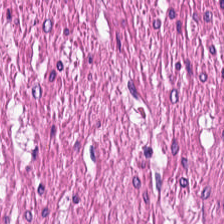Hematoxylin-and-eosin section: smooth-muscle tissue.
